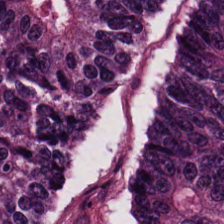Tissue type: colorectal adenocarcinoma.
